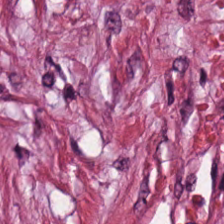Predominant tissue — tumor stroma.
